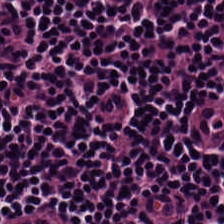Stain: H&E stain.
Tissue type: lymphoid infiltrate.
